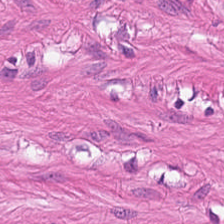Finding — smooth muscle.
